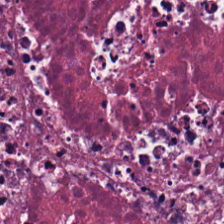The predominant tissue is debris.
